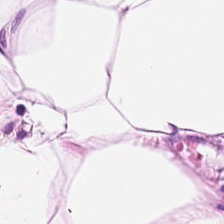Tissue type = adipose.
